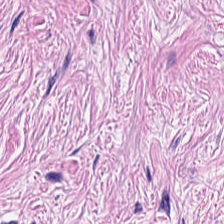WSI patch. Hematoxylin and eosin — Predominantly desmoplastic stroma.
